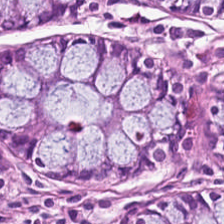Showing benign colonic mucosa.
